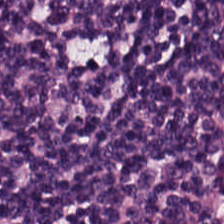Hematoxylin and eosin. Showing lymphocytic infiltrate.
